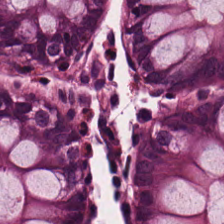H&E — The tissue type is normal colonic mucosa.
